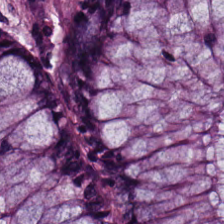Hematoxylin-and-eosin stained section. {"tissue_type": "normal colonic mucosa"}
